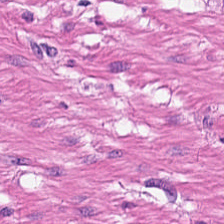Hematoxylin and eosin. Tissue = smooth muscle.
